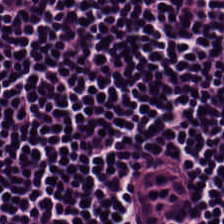The classification is lymphocytic infiltrate.
